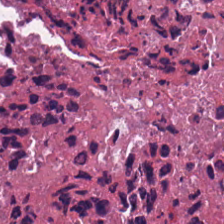Cellular debris.
